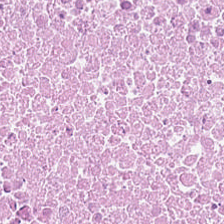H&E. FFPE tissue section.
Q: What does this patch show?
A: This is debris.
